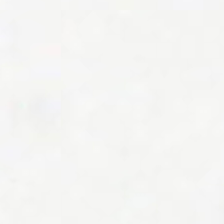FFPE tissue section. H&E stain. 224×224 px patch — Empty field — background (no tissue).
